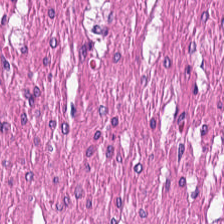Whole-slide-image patch · hematoxylin and eosin. The tissue class is smooth-muscle tissue.
